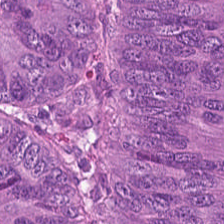Hematoxylin-and-eosin stained section · 0.5 µm per pixel · formalin-fixed paraffin-embedded section. The predominant tissue is malignant epithelium.
